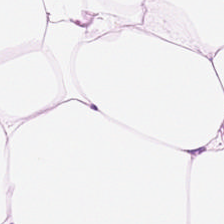224×224 px tile · brightfield · H&E.
The predominant tissue is adipose.
